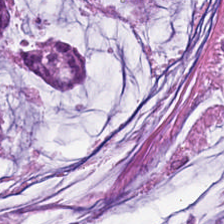Formalin-fixed paraffin-embedded section · hematoxylin and eosin.
Q: What is the predominant tissue type?
A: Mucus.
